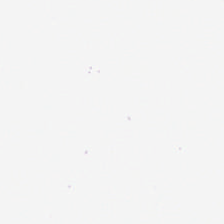H&E stain · 224×224 px tile.
Classification = no tissue.
